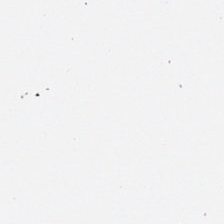The classification is background.
